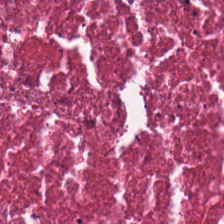Stain: H&E stain.
Preparation: FFPE tissue section.
Tissue class: cellular debris.
